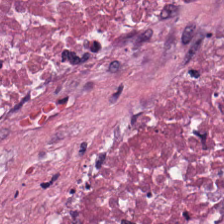Tissue class: debris.
